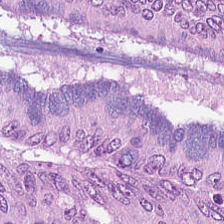H&E stain — The tissue here is malignant epithelium.
